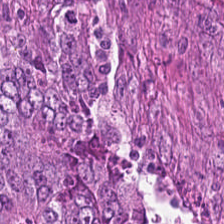Stain: hematoxylin and eosin.
Classification: colorectal adenocarcinoma epithelium.
